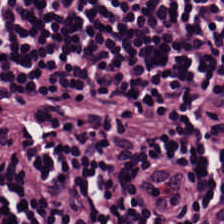H&E stain.
Histology → lymphocytic infiltrate.
